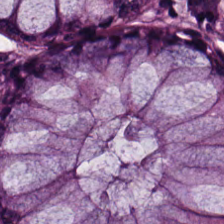Tissue class: normal colon mucosa.
